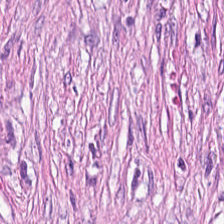Hematoxylin and eosin; formalin-fixed paraffin-embedded section.
Q: What is shown in this field?
A: Tumor stroma.
